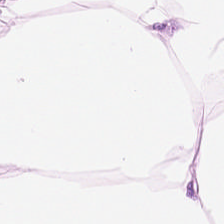Hematoxylin and eosin.
Q: What is shown here?
A: It is adipose tissue.
